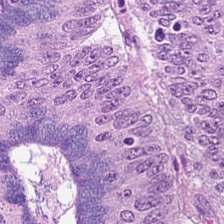H&E — Showing adenocarcinoma.
